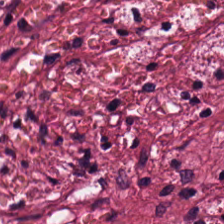224×224 pixel tile · H&E. Predominantly tumor stroma.
